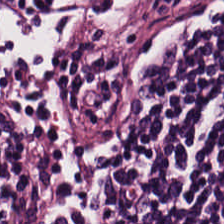H&E-stained tissue section · FFPE · 224×224 px patch — The tissue here is lymphoid infiltrate.
